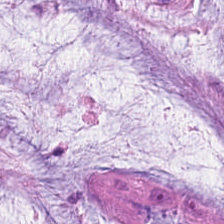Hematoxylin-and-eosin section: mucus.
